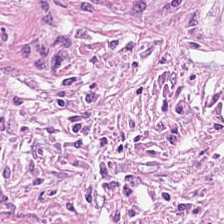H&E-stained tissue section. Brightfield. The tissue class is tumor stroma.
